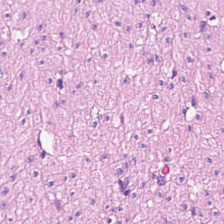H&E stain — This field is smooth-muscle tissue.
